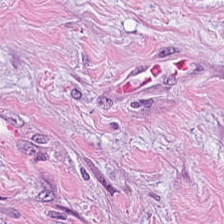The tissue here is desmoplastic stroma.
